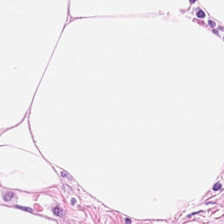Stain: H&E.
Tissue: adipose.
